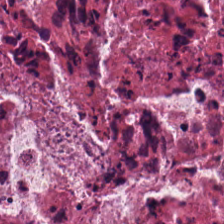FFPE. H&E-stained tissue section. Predominantly debris.
